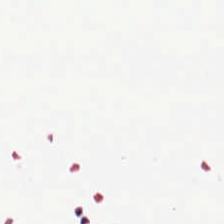H&E-stained tissue section. FFPE tissue section. Content = background.
